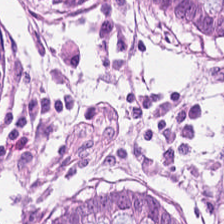Stain: H&E-stained tissue section.
Resolution: 0.5 microns per pixel.
Tissue: normal colonic mucosa.
